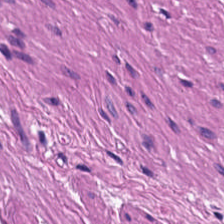Stain: H&E stain.
Predominant tissue: smooth-muscle tissue.
